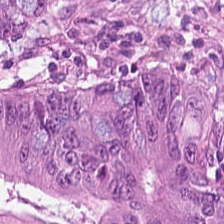H&E-stained tissue section. WSI patch. This patch shows malignant epithelium.
